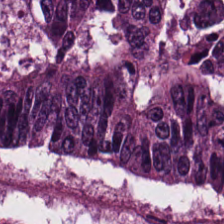Whole-slide-image patch. Formalin-fixed paraffin-embedded section. Hematoxylin-and-eosin stained section — Q: What does this patch show?
A: This is malignant epithelium.
